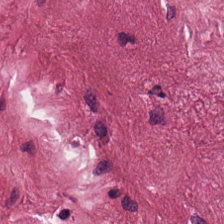The classification is cancer-associated stroma.
